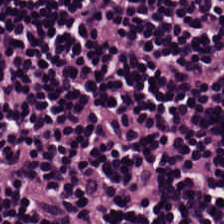Formalin-fixed paraffin-embedded section. Hematoxylin-and-eosin stained section. Whole-slide-image patch — This field is lymphocyte aggregate.
